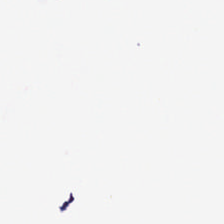H&E stain.
Classification = empty background.
